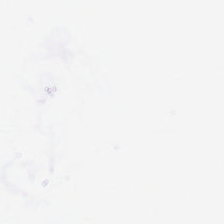Finding — no tissue.
